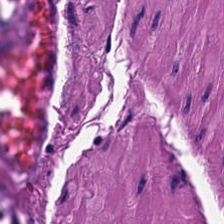Hematoxylin and eosin. The tissue here is smooth muscle.
